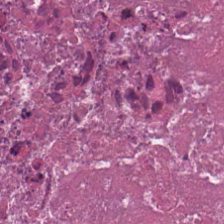224×224 px tile; H&E. Showing cellular debris.
